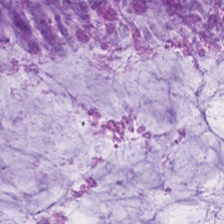H&E-stained tissue section — Tissue = mucus.
